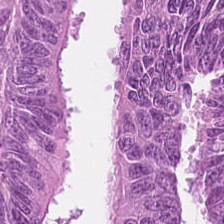H&E — The tissue here is malignant epithelium.
